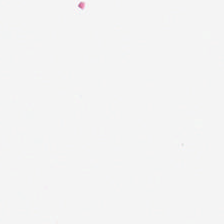Hematoxylin and eosin — {"content": "no tissue"}
